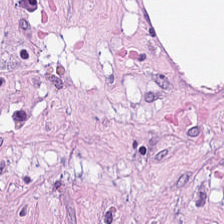0.5 µm per pixel. Hematoxylin-and-eosin stained section. Formalin-fixed paraffin-embedded section. Showing desmoplastic stroma.
